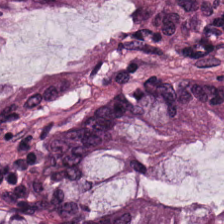0.5 µm per pixel. Hematoxylin and eosin. Formalin-fixed paraffin-embedded section. This patch shows benign colonic mucosa.
